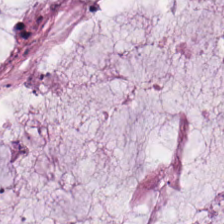Histology — mucin.
